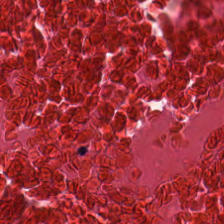Formalin-fixed paraffin-embedded section; H&E; 224×224 px tile.
Showing debris.
